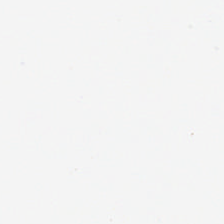Hematoxylin and eosin.
Content — background (no tissue).
